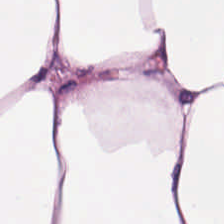WSI patch; FFPE; H&E. {"tissue_type": "adipose tissue"}
